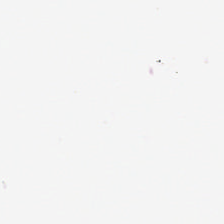This field is background (no tissue).
